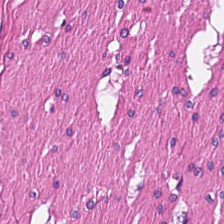Hematoxylin-and-eosin stained section. {"tissue_type": "smooth-muscle tissue"}
